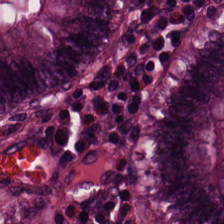The classification is normal colon mucosa.
